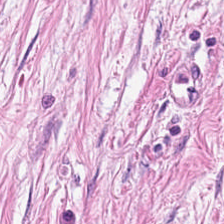Q: Identify the tissue.
A: This is tumor-associated stroma.
